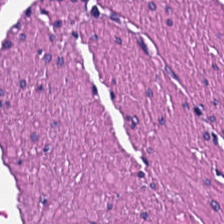H&E.
Tissue type = smooth muscle.
